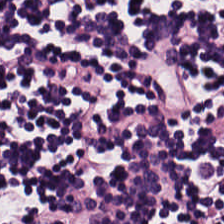H&E.
Predominantly lymphocytes.
